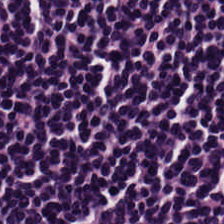Tissue — lymphocytes.
